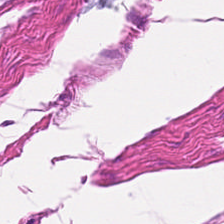Tissue class — smooth-muscle tissue.
